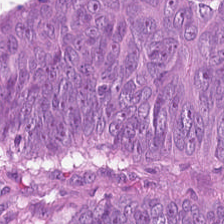H&E stain.
Q: What is the predominant tissue type?
A: The field shows malignant epithelium.
